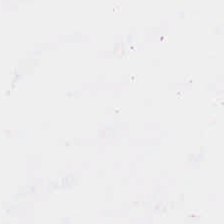Field content = background (no tissue).
